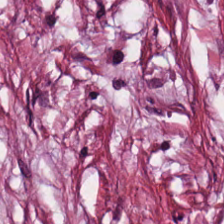Brightfield · H&E stain · FFPE tissue section — {"tissue_type": "desmoplastic stroma"}
